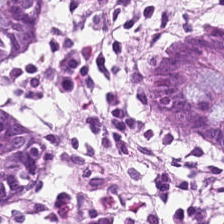H&E stain — The predominant tissue is benign colonic mucosa.
